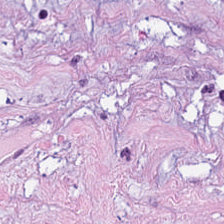{"tissue_type": "desmoplastic stroma"}
